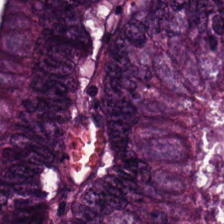Hematoxylin and eosin · 0.5 microns per pixel · 224×224 pixel tile — Showing malignant epithelium.
